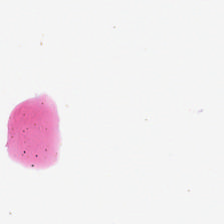Formalin-fixed paraffin-embedded section · H&E-stained tissue section — Empty field — background.
